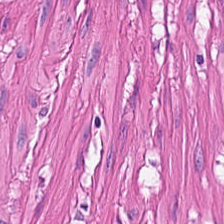H&E-stained tissue section.
Q: What is the predominant tissue type?
A: The field shows smooth muscle.
